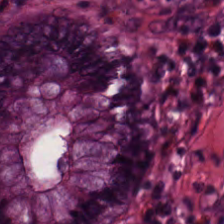H&E stain · formalin-fixed paraffin-embedded section. Q: What type of tissue is this?
A: This is normal colonic mucosa.
